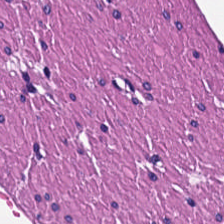Whole-slide-image patch · H&E-stained tissue section. This field is smooth-muscle tissue.
